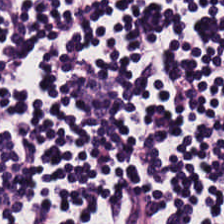Hematoxylin and eosin · WSI patch. The predominant tissue is lymphocytes.
